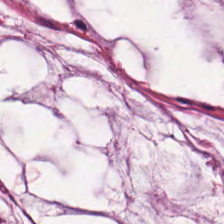Stain: H&E-stained tissue section.
Resolution: 0.5 µm/px.
Tissue: mucus.
